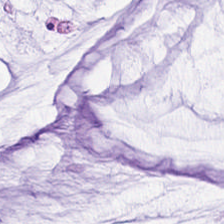Brightfield. FFPE. Hematoxylin and eosin.
Q: What does this patch show?
A: This is mucin.
